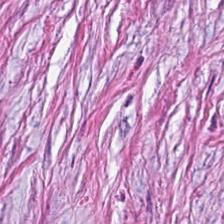H&E stain · 0.5 µm per pixel · FFPE tissue section. Classification: tumor-associated stroma.
